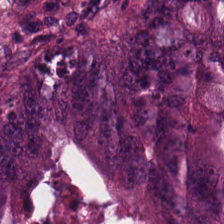FFPE tissue section · hematoxylin and eosin.
Predominantly adenocarcinoma.
